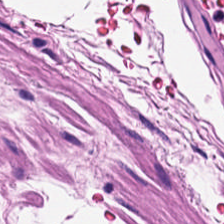Stain: H&E.
Predominant tissue: smooth-muscle tissue.
